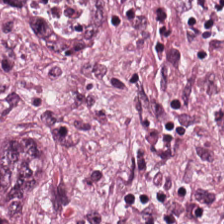H&E-stained tissue section. Classification: malignant epithelium.
